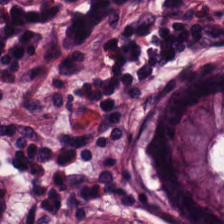The tissue is normal colonic mucosa.
